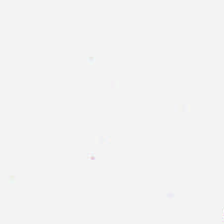Whole-slide-image patch. Hematoxylin-and-eosin stained section. Background.
